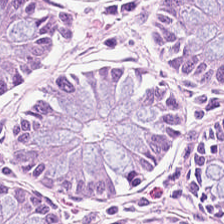20× equivalent magnification; hematoxylin and eosin. Q: What type of tissue is this?
A: Benign colonic mucosa.
